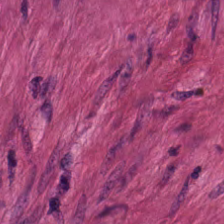FFPE · hematoxylin-and-eosin stained section · WSI patch — The tissue here is muscularis.
